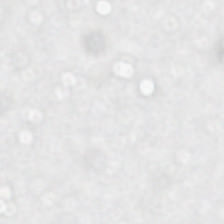224×224 px patch; H&E — Field content = background.
